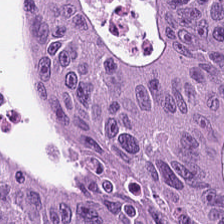Stain: hematoxylin and eosin.
Resolution: 20× equivalent magnification.
Tissue: colorectal adenocarcinoma.
